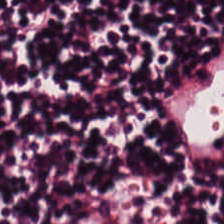Tissue class — lymphocytic infiltrate.
